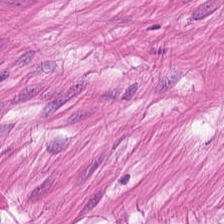20× equivalent magnification; hematoxylin-and-eosin stained section. Showing smooth-muscle tissue.
